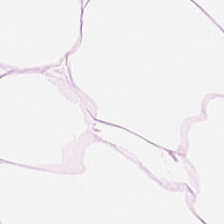H&E stain · 224×224 pixel tile — This field is adipose tissue.
